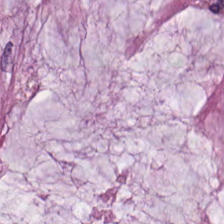Hematoxylin and eosin — The classification is mucus.
